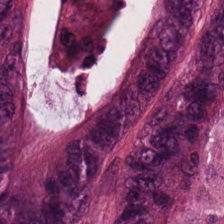The predominant tissue is colorectal adenocarcinoma epithelium.
